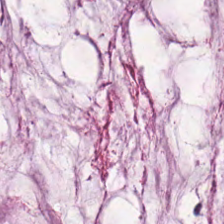H&E. Classification — mucin.
